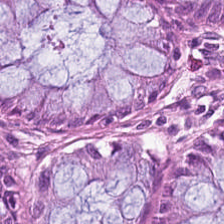Finding — benign colonic mucosa.
